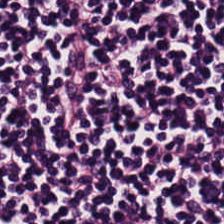H&E. Q: What tissue type is shown here?
A: This is lymphocyte aggregate.
